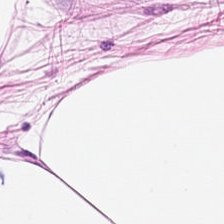Stain: H&E-stained tissue section.
Predominant tissue: adipose tissue.
